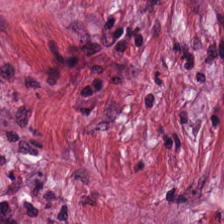Hematoxylin and eosin. The tissue is tumor stroma.
